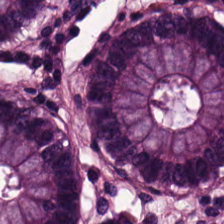H&E — The tissue here is normal colon mucosa.
